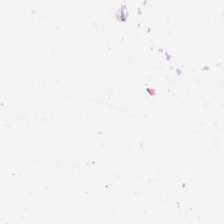224×224 pixel tile; H&E-stained tissue section.
Background — no tissue in this field.
